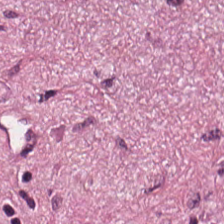The tissue here is tumor stroma.
